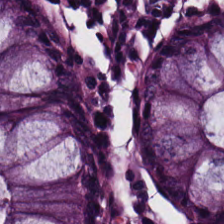Tissue class — normal colonic mucosa.
